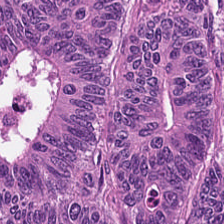H&E stain · 224×224 px patch · FFPE.
Q: What tissue type is shown here?
A: This is malignant epithelium.
